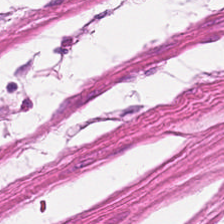FFPE; hematoxylin and eosin — The classification is muscularis.
